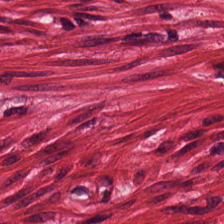Q: What does this patch show?
A: It is muscularis.
